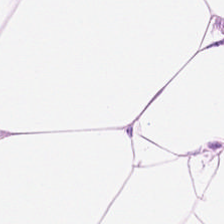H&E stain. Brightfield — This patch shows adipose tissue.
